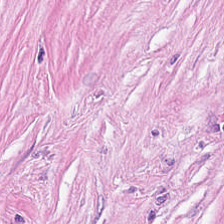H&E · FFPE tissue section — The tissue here is desmoplastic stroma.
